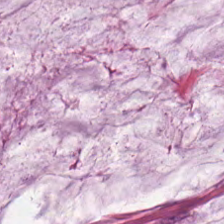FFPE tissue section · H&E · whole-slide-image patch — Predominant tissue — mucus.
